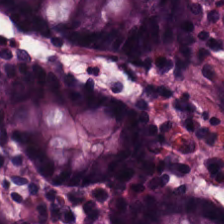Stain: hematoxylin-and-eosin stained section.
Tile size: 224×224 pixel tile.
Resolution: 0.5 µm per pixel.
Classification: benign colonic mucosa.
